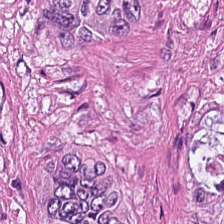WSI patch; H&E stain. The predominant tissue is colorectal adenocarcinoma.
